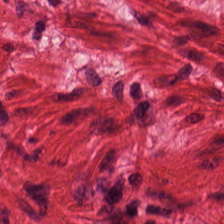Hematoxylin-and-eosin stained section — Classification = muscularis.
